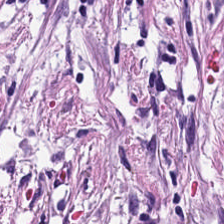Hematoxylin-and-eosin stained section. The tissue here is desmoplastic stroma.
